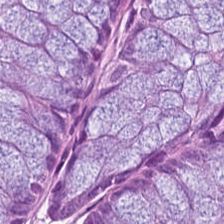H&E — Classification — non-neoplastic colon mucosa.
